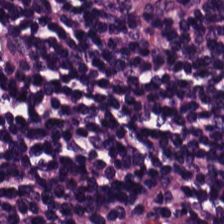H&E; 20× equivalent magnification — Showing lymphoid infiltrate.
